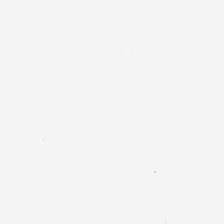Hematoxylin and eosin — Classification: empty background.
